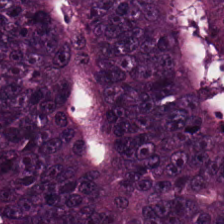Brightfield; FFPE tissue section; hematoxylin and eosin. Adenocarcinoma.
